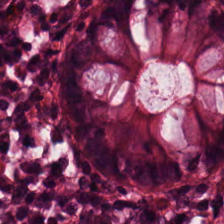H&E stain — Tissue type — normal colon mucosa.
